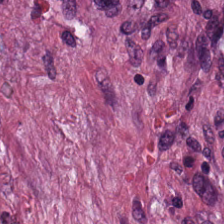Tissue = tumor stroma.
